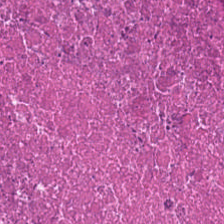Hematoxylin and eosin.
Q: What is the predominant tissue type?
A: It is cellular debris.
